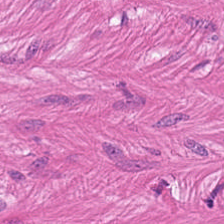Stain: H&E-stained tissue section.
Resolution: 0.5 µm/px.
Acquisition: whole-slide-image patch.
Classification: smooth-muscle tissue.
